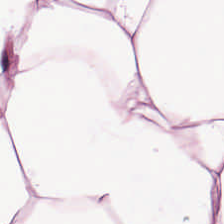H&E-stained tissue section · WSI patch. Predominantly fat tissue.
